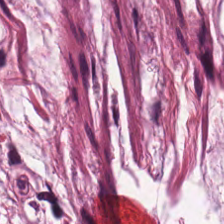Brightfield microscopy · H&E.
Histology — mucus.
